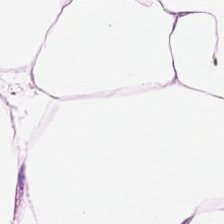Tissue = fat tissue.
